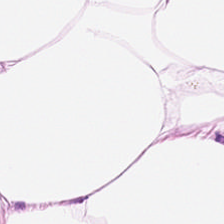Predominant tissue: adipose tissue.
